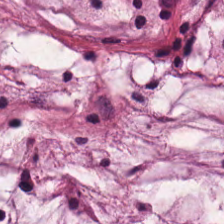Predominantly extracellular mucin.
